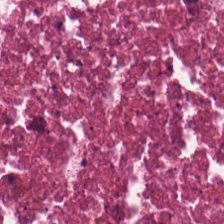Stain: hematoxylin and eosin.
Tile size: 224×224 px tile.
Acquisition: whole-slide-image patch.
Classification: necrotic debris.
